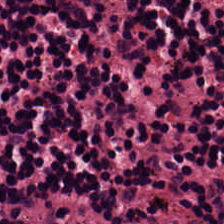224×224 px patch · brightfield microscopy · hematoxylin-and-eosin stained section — Q: What is shown here?
A: It is lymphocyte aggregate.
